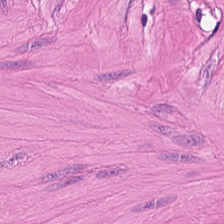H&E. The tissue type is muscularis.
